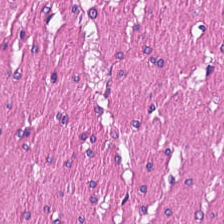H&E-stained tissue section.
Showing smooth muscle.
